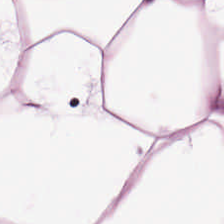H&E. Predominantly fat tissue.
